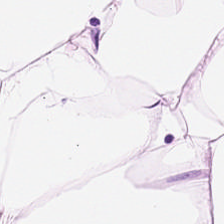Brightfield · H&E-stained tissue section · 0.5 µm per pixel. Q: What does this patch show?
A: This is adipose.
